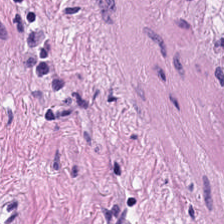Tissue class = smooth muscle.
